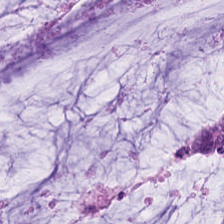H&E stain — Tissue type = mucus.
